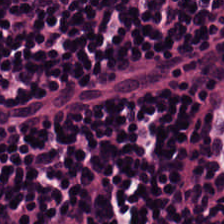H&E stain. Showing lymphocytic infiltrate.
